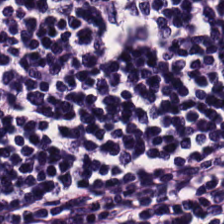{"tissue_type": "lymphocytic infiltrate"}
